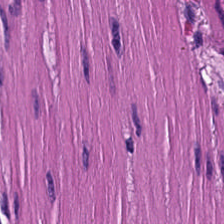224×224 px tile. H&E.
This patch shows smooth-muscle tissue.
